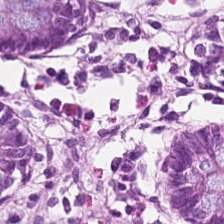H&E. Q: Identify the tissue.
A: The field shows normal colonic mucosa.
